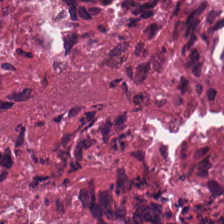The tissue class is debris.
